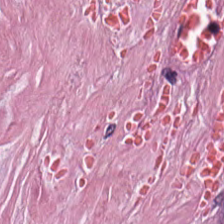0.5 µm per pixel · hematoxylin and eosin — Desmoplastic stroma.
